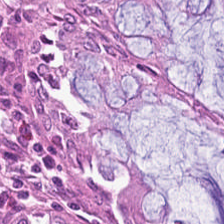Hematoxylin and eosin — Classification — non-neoplastic colon mucosa.
